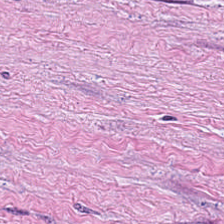H&E-stained tissue section.
Classification — tumor-associated stroma.
